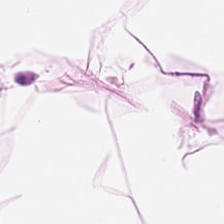H&E.
Tissue type = fat tissue.
